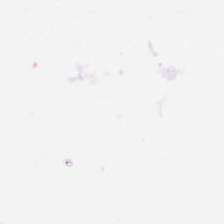Empty background.
